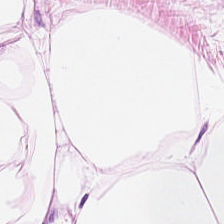H&E.
This field is fat tissue.
